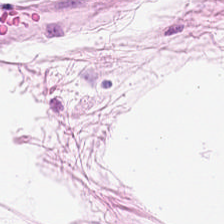Hematoxylin and eosin. 0.5 µm per pixel.
Q: What tissue is shown?
A: This is adipose tissue.
